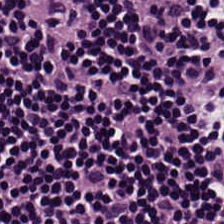H&E. Tissue — lymphocytic infiltrate.
